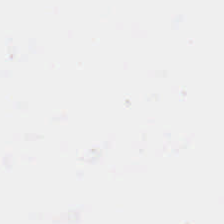Empty background.
